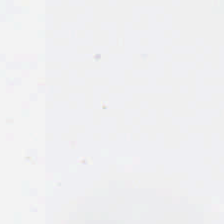H&E.
This field is background (no tissue).
